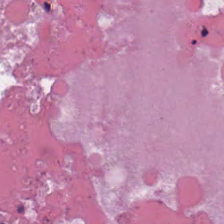0.5 µm/px; FFPE tissue section; H&E.
Tissue = necrotic debris.
